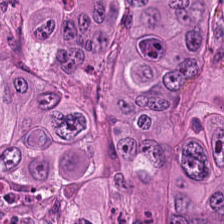Malignant epithelium.
